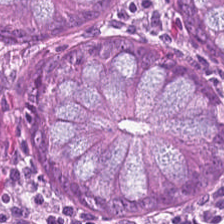Normal colonic mucosa.
